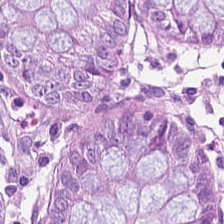Histology → benign colonic mucosa.
